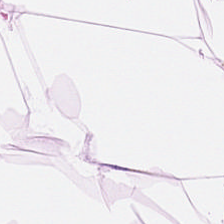H&E stain. Finding → adipose.
